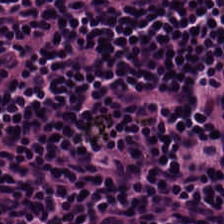Hematoxylin and eosin. 224×224 px patch. FFPE.
The predominant tissue is lymphoid infiltrate.
